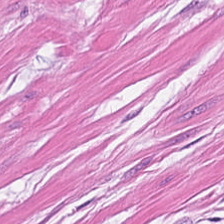The predominant tissue is smooth muscle.
